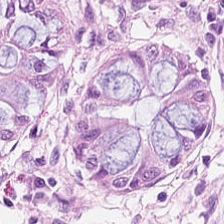FFPE; H&E stain.
The predominant tissue is non-neoplastic colon mucosa.
